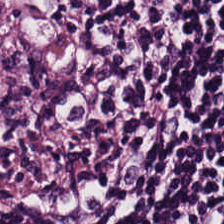Hematoxylin and eosin — This patch shows lymphoid infiltrate.
